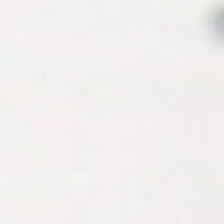H&E — Background — no tissue in this field.
